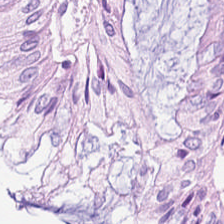WSI patch · H&E-stained tissue section · FFPE tissue section — Predominant tissue: benign colonic mucosa.
